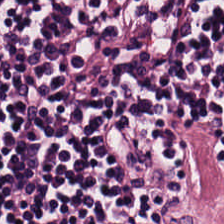Q: What is shown in this field?
A: Lymphocyte aggregate.
